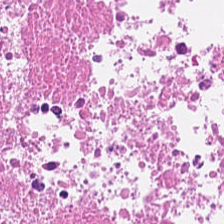This patch shows necrotic debris.
